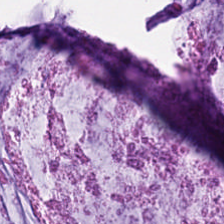FFPE tissue section · whole-slide-image patch · hematoxylin and eosin.
The tissue type is mucin.
